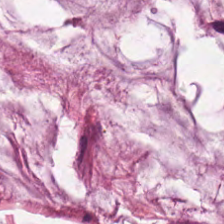Stain: hematoxylin-and-eosin stained section.
Acquisition: brightfield.
Resolution: 0.5 µm/px.
Tissue: extracellular mucin.
